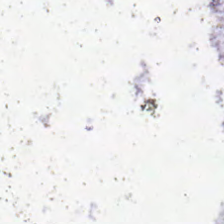Brightfield · H&E. Background — no tissue in this field.
